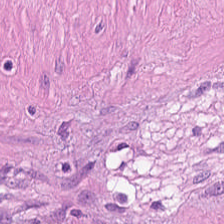Hematoxylin-and-eosin stained section. The tissue here is muscularis.
